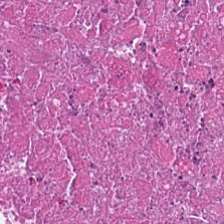Hematoxylin and eosin. The predominant tissue is necrotic debris.
